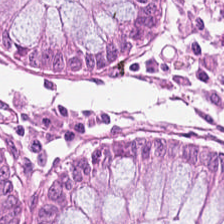0.5 µm per pixel; 224×224 px tile; H&E. Classification — normal colon mucosa.
